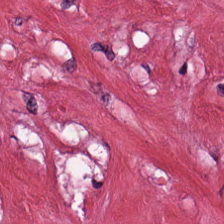Hematoxylin and eosin — This patch shows tumor stroma.
